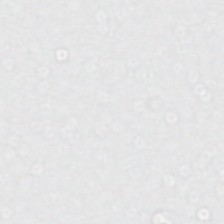Histology — background.
